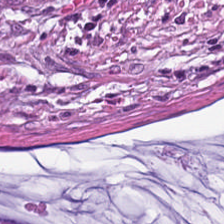Histology → mucin.
